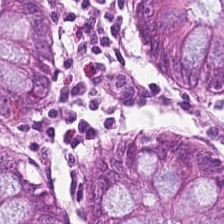Predominantly normal colon mucosa.
